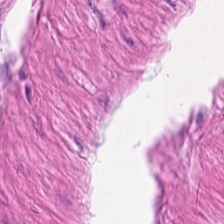224×224 px patch; hematoxylin-and-eosin stained section; 20× equivalent magnification. Tissue class — muscularis.
